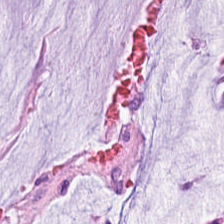Hematoxylin-and-eosin stained section; 20× equivalent magnification.
Finding → mucin.
